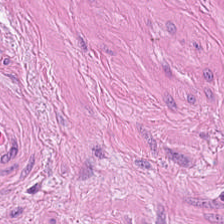H&E. Q: What is the predominant tissue type?
A: It is smooth muscle.
